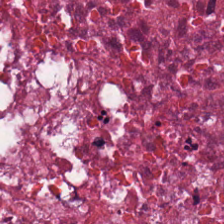Hematoxylin-and-eosin stained section — The tissue is cellular debris.
